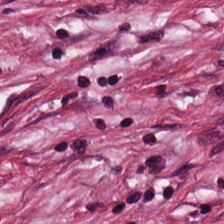Formalin-fixed paraffin-embedded section; H&E-stained tissue section — Finding — tumor stroma.
